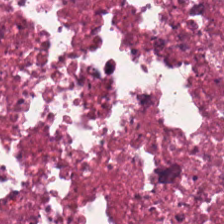0.5 µm/px. Hematoxylin-and-eosin stained section. This patch shows necrotic debris.
